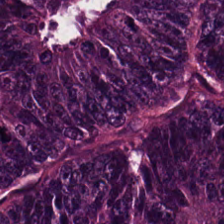Hematoxylin-and-eosin stained section; FFPE tissue section; 224×224 px patch — Impression → tumor epithelium.
